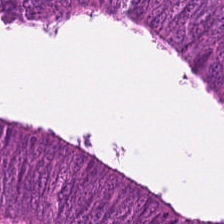Hematoxylin-and-eosin stained section. Tissue: adenocarcinoma.
